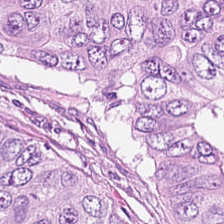224×224 px patch; whole-slide-image patch; H&E stain. Q: What is shown here?
A: The field shows tumor epithelium.
